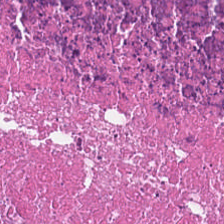H&E. Histology — necrotic debris.
